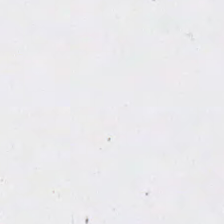Q: What is shown in this field?
A: The field shows background.
